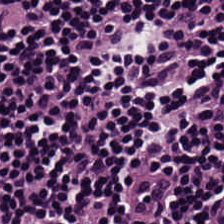Hematoxylin-and-eosin stained section; 224×224 px tile. Tissue class — lymphocytes.
